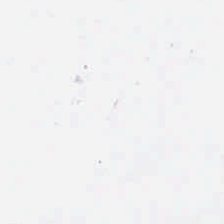20× equivalent magnification; hematoxylin-and-eosin stained section; 224×224 pixel tile.
This field is background (no tissue).
